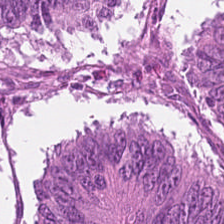H&E stain — Q: What tissue type is shown here?
A: This is adenocarcinoma.
